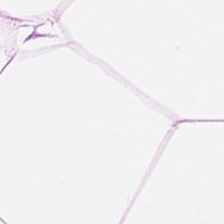Stain: H&E-stained tissue section.
Tissue: adipose.
